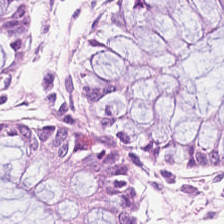Brightfield. H&E-stained tissue section.
Tissue = benign colonic mucosa.
